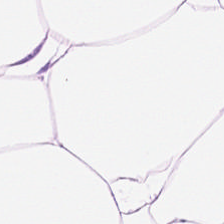Hematoxylin and eosin — Predominantly adipose tissue.
